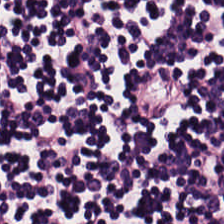H&E stain. Predominantly lymphoid infiltrate.
